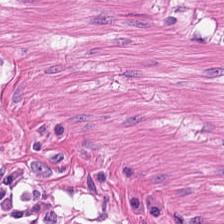FFPE tissue section. H&E stain.
The tissue type is muscularis.
